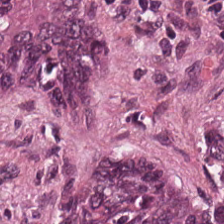Stain: hematoxylin-and-eosin stained section.
Preparation: FFPE tissue section.
Tissue: malignant epithelium.
